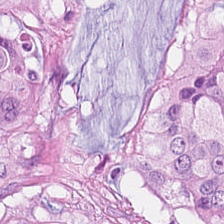Q: What tissue type is shown here?
A: It is colorectal adenocarcinoma epithelium.
